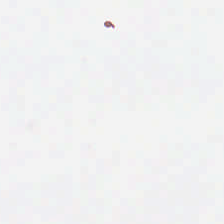H&E. Empty background.
